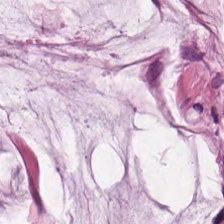Hematoxylin-and-eosin stained section. 224×224 px tile — Showing extracellular mucin.
